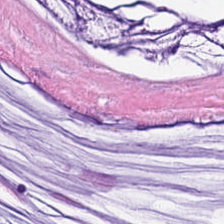Formalin-fixed paraffin-embedded section · hematoxylin and eosin — Predominant tissue = mucin.
